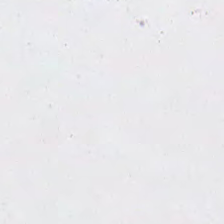Hematoxylin-and-eosin stained section. Q: What is shown in this field?
A: This is empty background.
